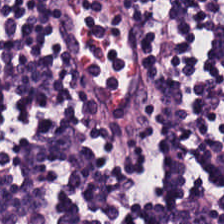Predominant tissue = lymphoid infiltrate.
